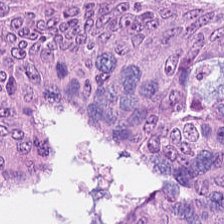Q: What is the predominant tissue type?
A: Adenocarcinoma.
